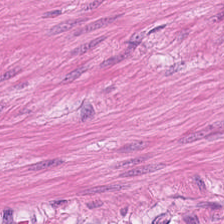Q: What tissue is shown?
A: Smooth muscle.
